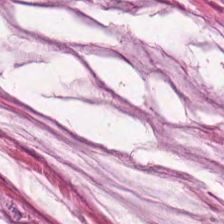Hematoxylin and eosin — Tissue class — mucin.
